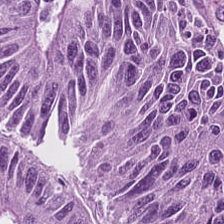H&E patch showing colorectal adenocarcinoma.
